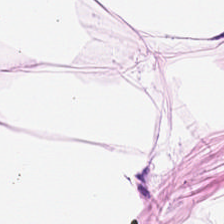Predominant tissue — adipose.
